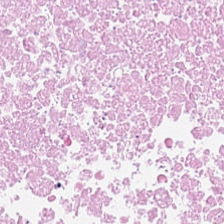Hematoxylin-and-eosin stained section — This patch shows debris.
